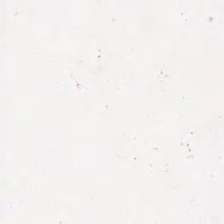Q: Identify the tissue.
A: The field shows necrotic debris.
